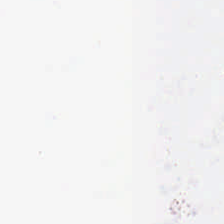This patch shows background.
